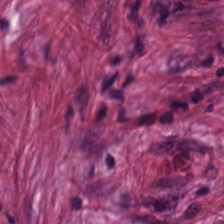FFPE tissue section. Hematoxylin and eosin. 224×224 pixel tile.
Tumor stroma.
